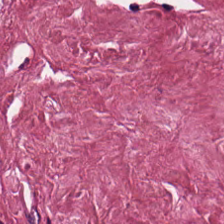0.5 µm/px; hematoxylin and eosin — This field is tumor-associated stroma.
